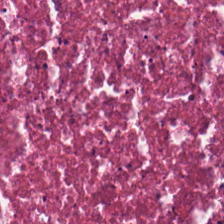{"tissue_type": "debris"}
